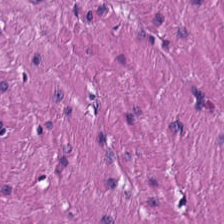FFPE tissue section · H&E stain · brightfield microscopy. Tissue = smooth-muscle tissue.
